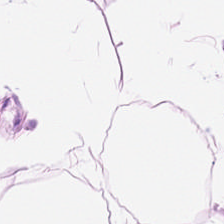H&E-stained section; the field shows fat tissue.
